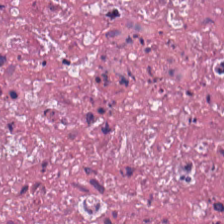Hematoxylin and eosin.
Q: What is shown in this field?
A: The field shows debris.
